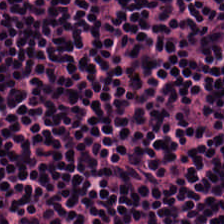Hematoxylin and eosin. Tissue class — lymphoid infiltrate.
